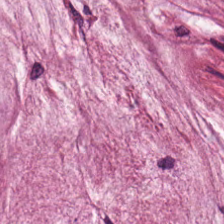224×224 pixel tile; H&E stain; 0.5 µm per pixel.
Finding — mucus.
